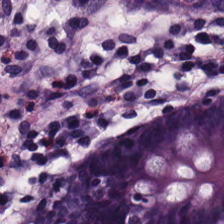Hematoxylin-and-eosin stained section · 224×224 px tile. Q: What type of tissue is this?
A: This is benign colonic mucosa.
